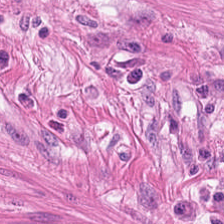224×224 pixel tile; H&E stain. Tissue type — muscularis.
